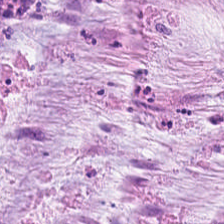Stain: H&E stain.
Tissue type: mucin.
